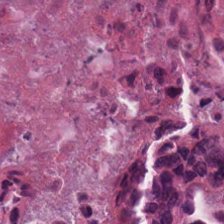Hematoxylin-and-eosin stained section — Tissue type: cellular debris.
